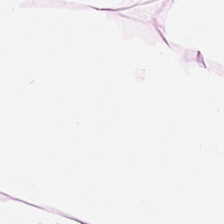224×224 px patch. H&E. Predominant tissue: adipocytes.
